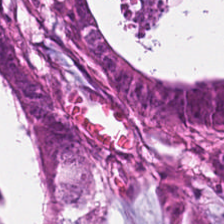Tissue = tumor epithelium.
